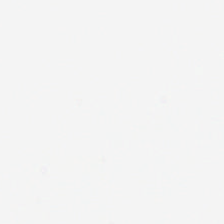Stain: H&E.
Field content: background (no tissue).
